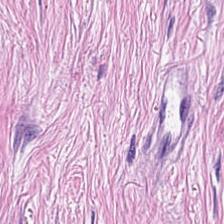Q: Identify the tissue.
A: It is tumor-associated stroma.
